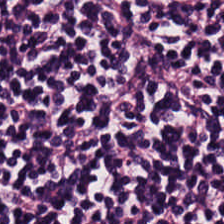H&E stain. FFPE.
Showing lymphocytic infiltrate.
